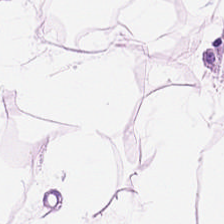Stain: H&E.
Tissue class: adipose tissue.
